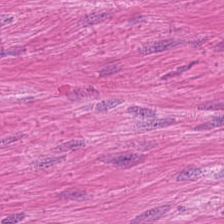This patch shows smooth muscle.
